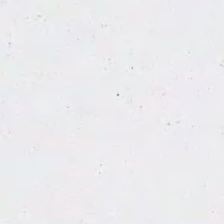Hematoxylin-and-eosin stained section — Content: empty background.
